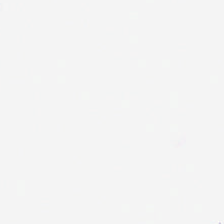H&E · FFPE tissue section. {"content": "background"}
